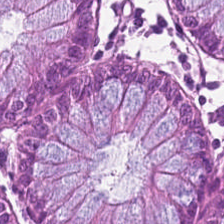Predominant tissue = benign colonic mucosa.
